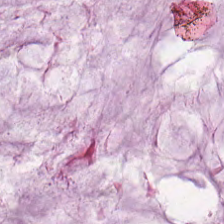H&E.
This patch shows extracellular mucin.
